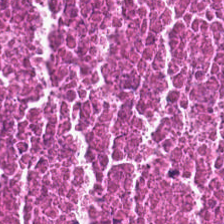Hematoxylin-and-eosin stained section.
Tissue type — cellular debris.
